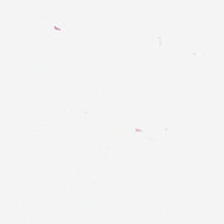224×224 px patch; H&E-stained tissue section — Classification = background.
